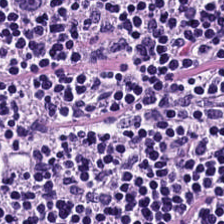H&E-stained section; the field shows lymphocyte aggregate.
